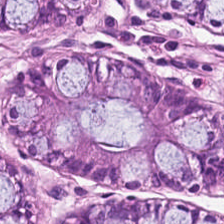Hematoxylin and eosin · formalin-fixed paraffin-embedded section. {"tissue_type": "normal colon mucosa"}
